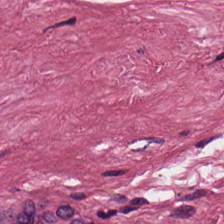H&E — Q: What tissue type is shown here?
A: This is cancer-associated stroma.
